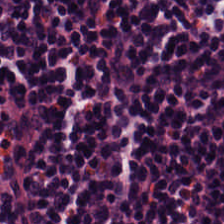H&E. Tissue = lymphocytic infiltrate.
